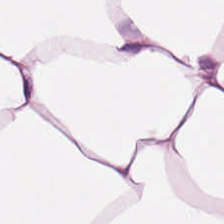Finding — adipose.
